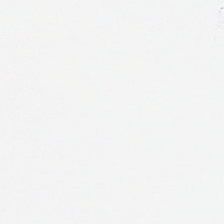H&E-stained tissue section. The field content is background (no tissue).
